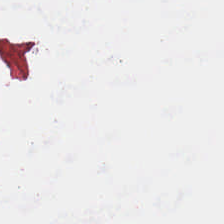Classification: empty background.
